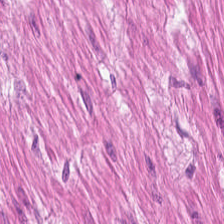Hematoxylin and eosin.
Smooth muscle.
